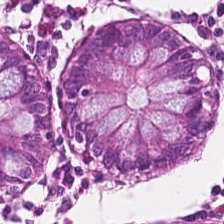Tissue: non-neoplastic colon mucosa.
